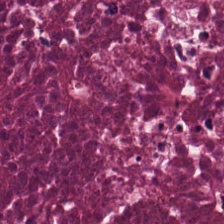H&E stain — Classification — cellular debris.
